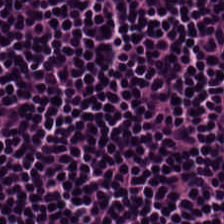H&E · brightfield microscopy. Tissue class — lymphocytic infiltrate.
